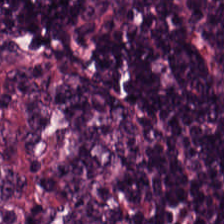H&E stain. Formalin-fixed paraffin-embedded section.
Predominant tissue: lymphocytes.
